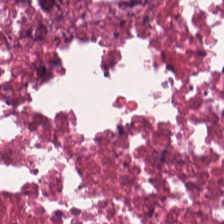H&E stain; formalin-fixed paraffin-embedded section. The tissue is debris.
